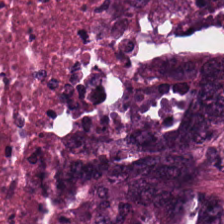FFPE; 224×224 px patch; H&E-stained tissue section.
Classification = adenocarcinoma.
